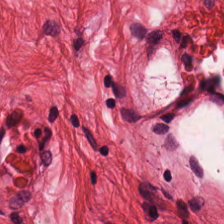Brightfield microscopy · H&E stain · 224×224 pixel tile.
Showing muscularis.
